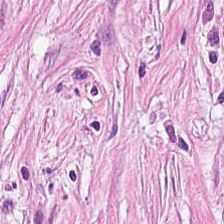H&E · formalin-fixed paraffin-embedded section — Q: What tissue is shown?
A: Desmoplastic stroma.
